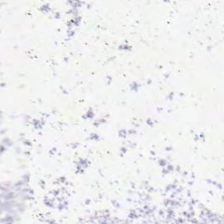H&E-stained tissue section — Empty field — background.
